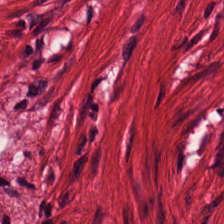H&E stain — Impression — smooth muscle.
